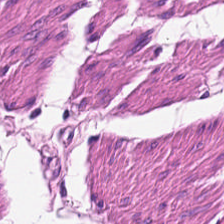224×224 px patch. Hematoxylin and eosin. Whole-slide-image patch.
Classification: muscularis.
